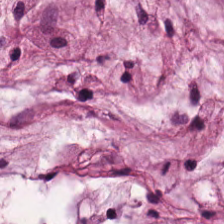Hematoxylin-and-eosin stained section. Tissue type — mucus.
